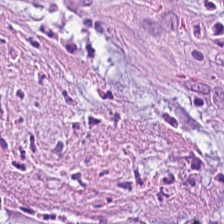H&E stain. FFPE. Finding — tumor stroma.
